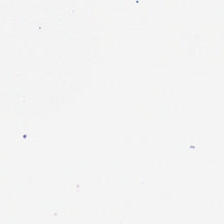The field content is background (no tissue).
